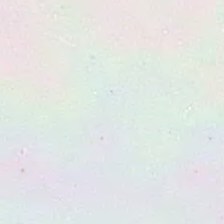Histology — no tissue.
